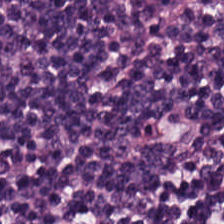224×224 pixel tile · brightfield · H&E-stained tissue section. Impression — lymphocytic infiltrate.
